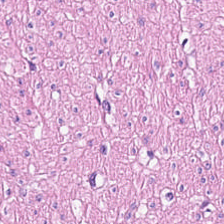Stain: hematoxylin-and-eosin stained section.
Classification: muscularis.
